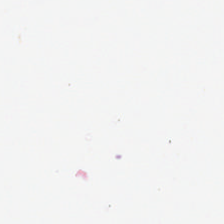H&E; 0.5 µm per pixel; 224×224 pixel tile — Field content: background.
